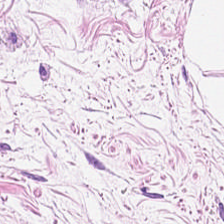Hematoxylin and eosin; FFPE — Q: What is the predominant tissue type?
A: The field shows adipose.
